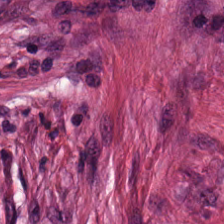Q: What is the predominant tissue type?
A: Tumor stroma.
